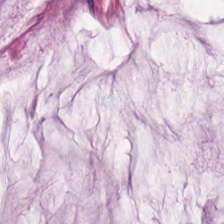Hematoxylin and eosin. 0.5 µm per pixel.
Tissue class — extracellular mucin.
